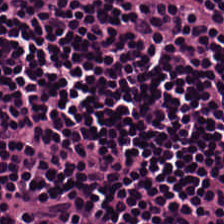H&E — Finding → lymphocyte aggregate.
